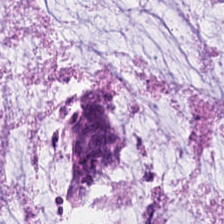The tissue here is mucus.
